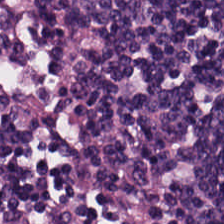Q: What tissue is shown?
A: The field shows lymphoid infiltrate.
